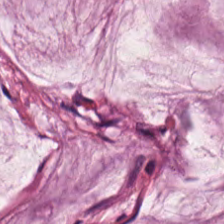H&E · FFPE tissue section · 0.5 µm/px — Q: What type of tissue is this?
A: Extracellular mucin.
